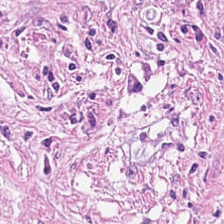H&E. Predominantly cancer-associated stroma.
